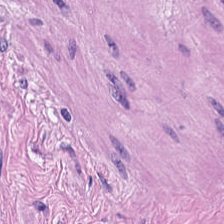H&E stain — Tissue type = muscularis.
